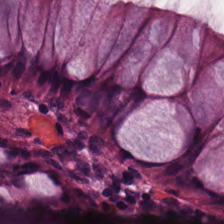Brightfield · hematoxylin and eosin · FFPE. Finding — normal colon mucosa.
